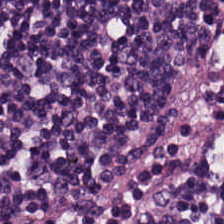Stain: hematoxylin-and-eosin stained section.
Classification: lymphocytic infiltrate.
